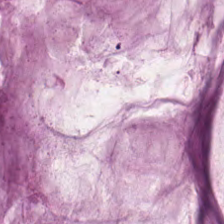H&E-stained tissue section — Predominant tissue = extracellular mucin.
